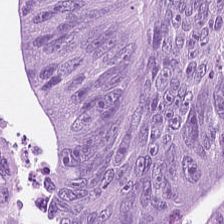Tissue class — colorectal adenocarcinoma.
